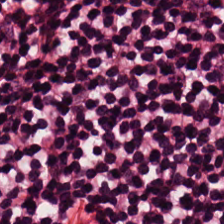Stain: hematoxylin and eosin.
Classification: lymphocyte aggregate.
